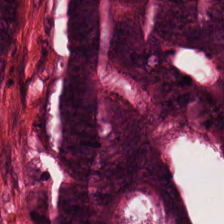Malignant epithelium.
